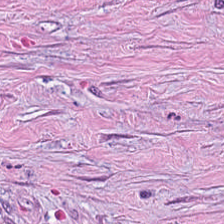Hematoxylin-and-eosin stained section; brightfield; 224×224 px tile. Finding → cancer-associated stroma.
